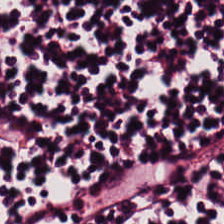WSI patch; H&E stain.
Predominant tissue: lymphoid infiltrate.
